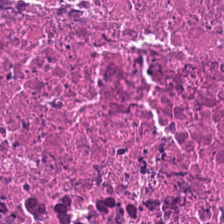H&E-stained tissue section — Showing debris.
